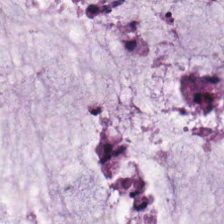Impression — mucus.
